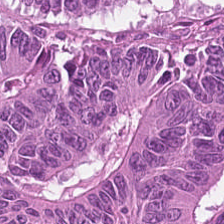H&E — The tissue here is adenocarcinoma.
